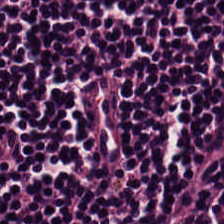Tissue — lymphoid infiltrate.
